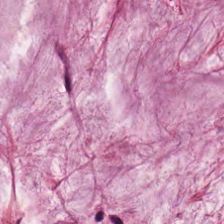H&E-stained tissue section. Tissue type = mucus.
